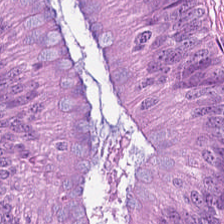H&E stain. FFPE tissue section.
Tissue — tumor epithelium.
